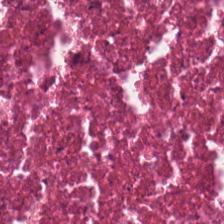224×224 px patch · 0.5 µm/px · H&E-stained tissue section.
Predominantly cellular debris.
